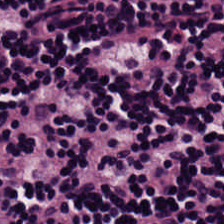Q: What does this patch show?
A: This is lymphocyte aggregate.
